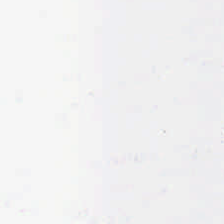WSI patch · hematoxylin-and-eosin stained section — Q: What is shown here?
A: No tissue.
